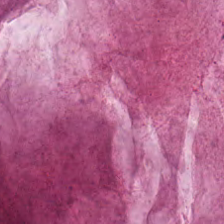Hematoxylin-and-eosin stained section. 0.5 µm/px.
Mucin.
